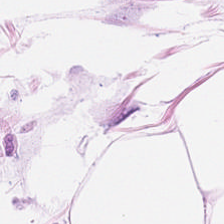H&E — Adipose.
